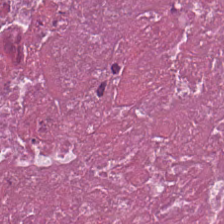Q: What is shown in this field?
A: It is debris.
